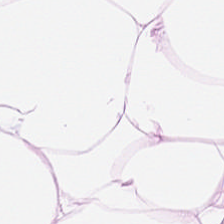Hematoxylin-and-eosin stained section; brightfield. Predominantly adipose tissue.
